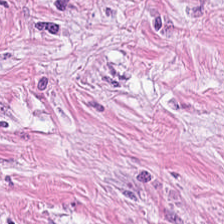Formalin-fixed paraffin-embedded section; H&E; 20× equivalent magnification. Q: What is the predominant tissue type?
A: The field shows desmoplastic stroma.
